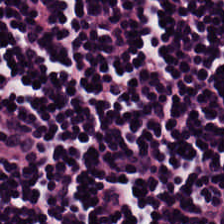Tissue type — lymphocyte aggregate.
